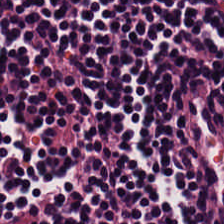This patch shows lymphoid infiltrate.
